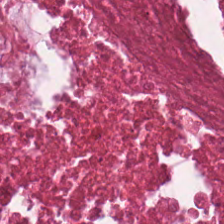The tissue type is debris.
